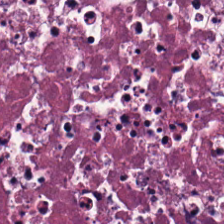Hematoxylin and eosin. Tissue type: necrotic debris.
